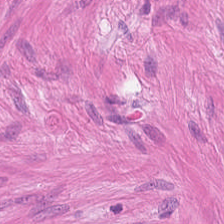Hematoxylin-and-eosin stained section. Predominantly muscularis.
